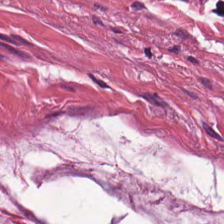Hematoxylin and eosin — Showing mucin.
